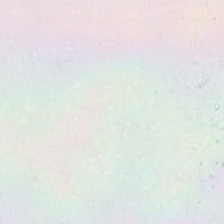H&E-stained tissue section. The classification is background.
